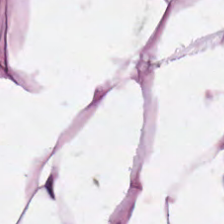Showing adipose.
